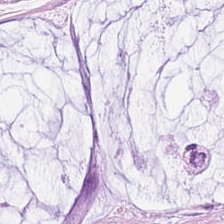H&E-stained tissue section. Predominantly extracellular mucin.
